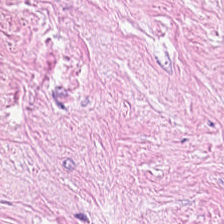H&E-stained tissue section. FFPE.
The predominant tissue is desmoplastic stroma.
